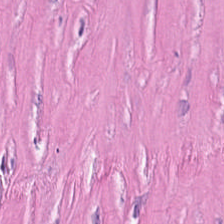H&E; brightfield — This patch shows cancer-associated stroma.
